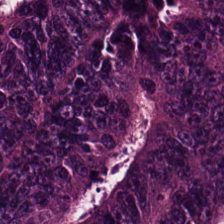0.5 µm/px. H&E-stained tissue section. 224×224 px tile. Q: What does this patch show?
A: This is tumor epithelium.
